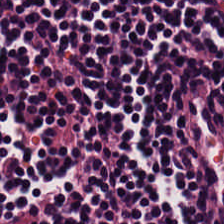Q: What type of tissue is this?
A: It is lymphocytic infiltrate.
